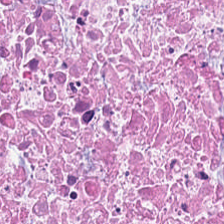Necrotic debris.
